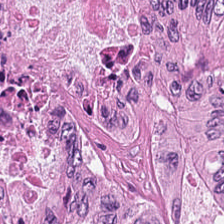Hematoxylin and eosin. Tissue class = malignant epithelium.
